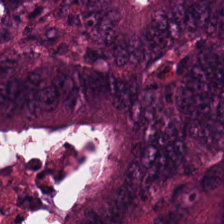H&E-stained tissue section.
Predominant tissue — colorectal adenocarcinoma epithelium.
